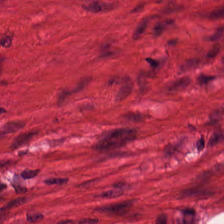The predominant tissue is muscularis.
